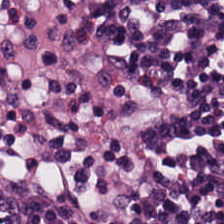224×224 px tile · H&E-stained tissue section · 0.5 µm/px.
{"tissue_type": "lymphoid infiltrate"}
